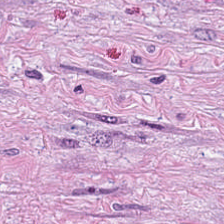Hematoxylin and eosin; whole-slide-image patch. Q: What is shown here?
A: Tumor-associated stroma.
